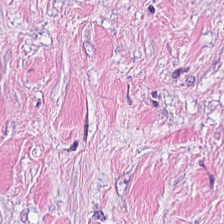Stain: H&E stain.
Tissue type: desmoplastic stroma.
